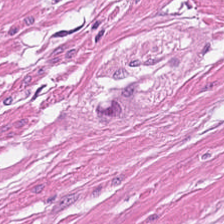Stain: hematoxylin-and-eosin stained section.
Tile size: 224×224 px tile.
Resolution: 20× equivalent magnification.
Tissue type: smooth muscle.
